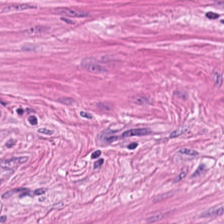Hematoxylin-and-eosin stained section. Brightfield — This patch shows muscularis.
